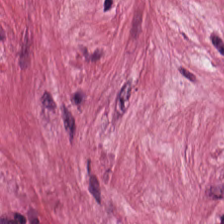224×224 px patch. H&E. Showing tumor stroma.
